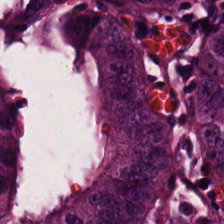224×224 px tile; WSI patch; hematoxylin-and-eosin stained section.
The predominant tissue is colorectal adenocarcinoma.
